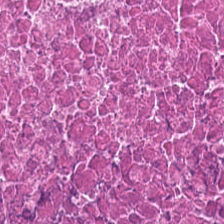Brightfield. H&E.
{"tissue_type": "debris"}
